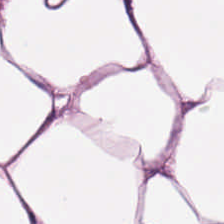H&E; 0.5 microns per pixel; whole-slide-image patch — Tissue — fat tissue.
